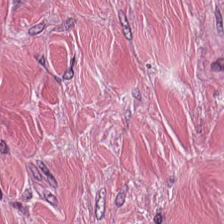H&E — desmoplastic stroma.
